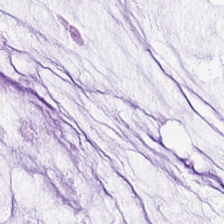Whole-slide-image patch. 20× equivalent magnification. Hematoxylin-and-eosin stained section.
Predominantly mucin.
